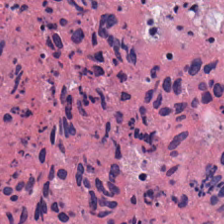0.5 µm/px. H&E-stained tissue section. The predominant tissue is necrotic debris.
